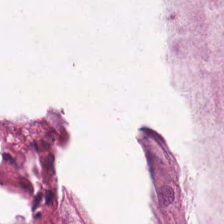H&E — Mucus.
